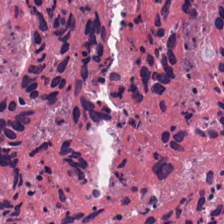H&E stain · WSI patch — Tissue type = necrotic debris.
